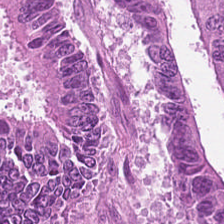The tissue type is malignant epithelium.
